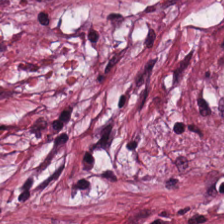H&E — Q: What tissue is shown?
A: It is tumor stroma.
